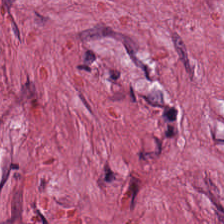H&E stain · FFPE tissue section.
Desmoplastic stroma.
